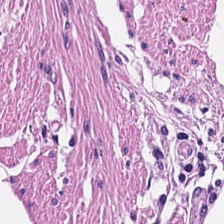224×224 px tile; H&E stain; FFPE tissue section.
Q: What tissue is shown?
A: It is smooth muscle.
